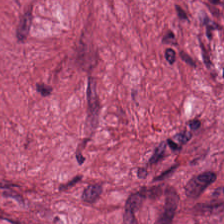Stain: hematoxylin and eosin.
Tissue class: tumor-associated stroma.
